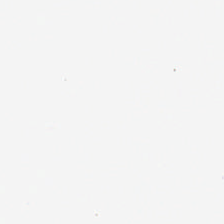Hematoxylin and eosin. Classification: background (no tissue).
